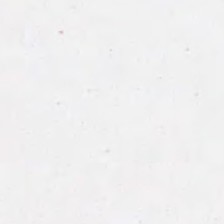Hematoxylin-and-eosin stained section — Content = no tissue.
